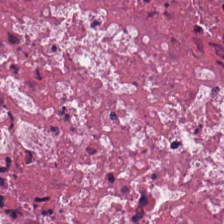Hematoxylin and eosin · 224×224 px tile. Predominant tissue = debris.
